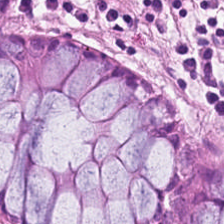Stain: H&E.
Tissue: non-neoplastic colon mucosa.
